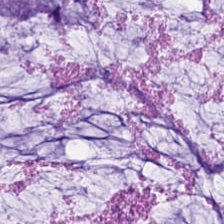Q: What is shown here?
A: The field shows extracellular mucin.
